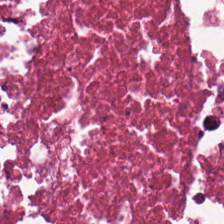{"tissue_type": "debris"}
